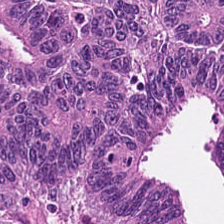Hematoxylin-and-eosin stained section — {"tissue_type": "colorectal adenocarcinoma"}
